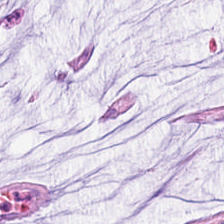224×224 px tile · H&E-stained tissue section.
Q: What does this patch show?
A: It is extracellular mucin.
